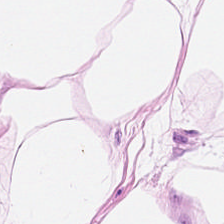FFPE tissue section; hematoxylin-and-eosin stained section. Classification — fat tissue.
